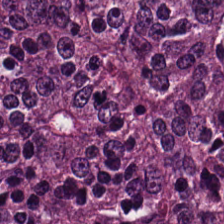H&E-stained tissue section showing adenocarcinoma.
